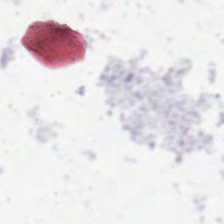H&E-stained tissue section.
No tissue.
